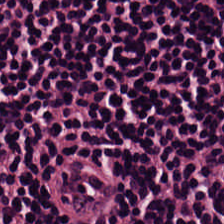Hematoxylin-and-eosin stained section; FFPE; brightfield.
Finding — lymphocytic infiltrate.
